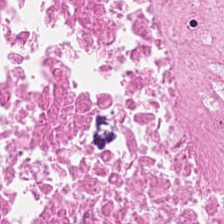224×224 px tile · hematoxylin and eosin. This patch shows necrotic debris.
